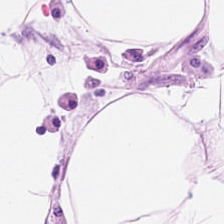The tissue is adipose tissue.
